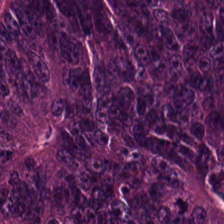H&E-stained tissue section. Q: What tissue type is shown here?
A: Malignant epithelium.
